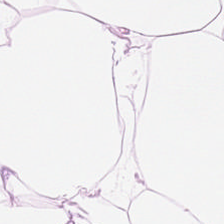Hematoxylin and eosin.
Showing fat tissue.
